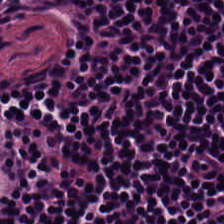Hematoxylin-and-eosin section: lymphocytic infiltrate.
